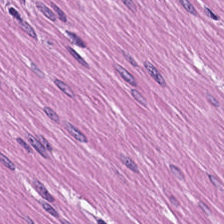0.5 µm/px; WSI patch; H&E stain. Showing smooth-muscle tissue.
